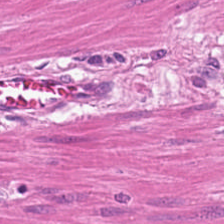Hematoxylin and eosin. Brightfield microscopy. Formalin-fixed paraffin-embedded section. Predominantly smooth-muscle tissue.
